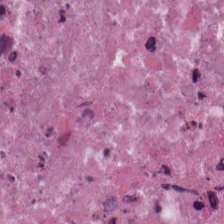Hematoxylin-and-eosin stained section. Classification: necrotic debris.
